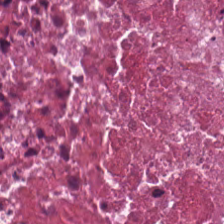Brightfield. Hematoxylin-and-eosin stained section — This field is cellular debris.
